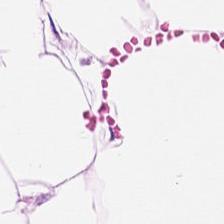Hematoxylin-and-eosin stained section — Finding — fat tissue.
